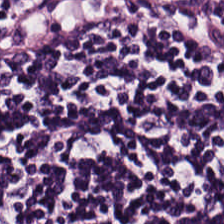Finding → lymphoid infiltrate.
